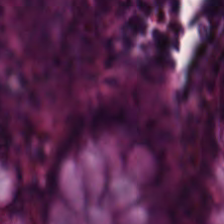H&E-stained tissue section showing normal colonic mucosa.
